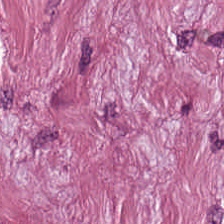Hematoxylin and eosin.
This field is cancer-associated stroma.
